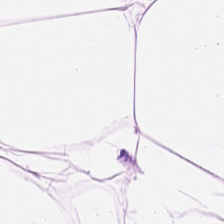Stain: hematoxylin and eosin.
Predominant tissue: adipocytes.
